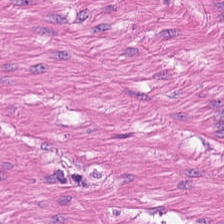Tissue type = smooth-muscle tissue.
